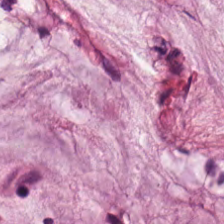Hematoxylin and eosin — This field is extracellular mucin.
